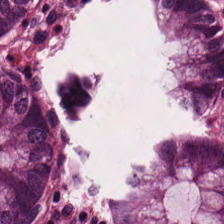H&E-stained tissue section. This field is non-neoplastic colon mucosa.
